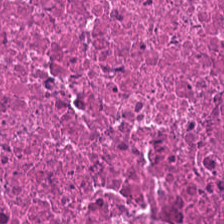Hematoxylin and eosin. FFPE tissue section — Showing debris.
